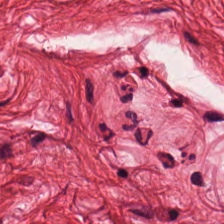FFPE tissue section. 224×224 pixel tile. H&E.
The tissue here is muscularis.
